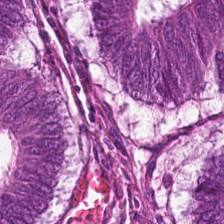Brightfield. H&E-stained tissue section.
Q: Classify this patch.
A: Colorectal adenocarcinoma epithelium.
